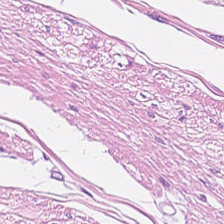Stain: H&E stain.
Tissue type: smooth-muscle tissue.
